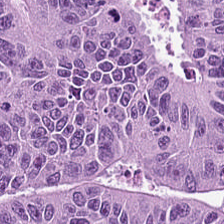Tissue — malignant epithelium.
